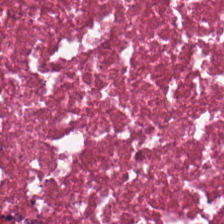Hematoxylin and eosin. Q: Classify this patch.
A: The field shows necrotic debris.
